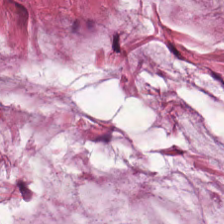Hematoxylin and eosin — Predominant tissue — extracellular mucin.
